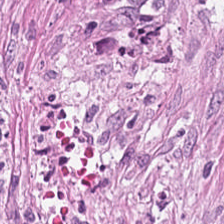Hematoxylin-and-eosin section: cancer-associated stroma.
